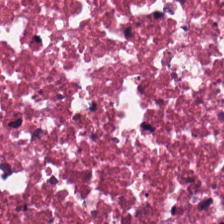H&E stain.
Tissue type = cellular debris.
